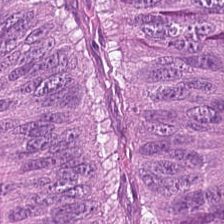Stain: hematoxylin and eosin.
Classification: malignant epithelium.
